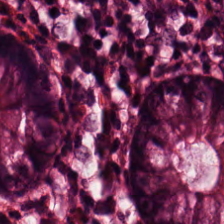Hematoxylin and eosin — Predominant tissue = benign colonic mucosa.
